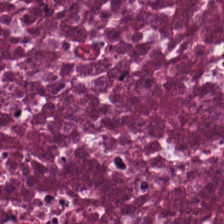H&E — The tissue here is debris.
